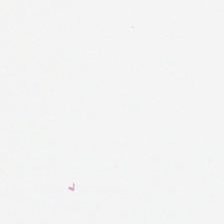{"content": "background (no tissue)"}
